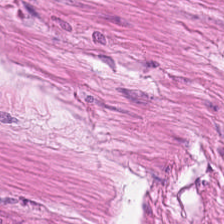Impression — muscularis.
